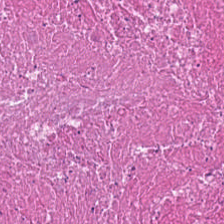Hematoxylin-and-eosin stained section. Predominantly necrotic debris.
